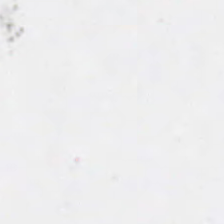H&E-stained tissue section — Empty field — no tissue.
